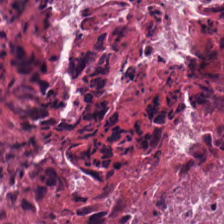Stain: H&E-stained tissue section.
Tissue type: necrotic debris.
